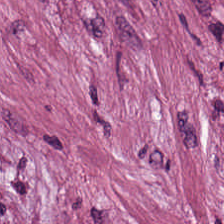Hematoxylin and eosin.
The tissue class is cancer-associated stroma.
